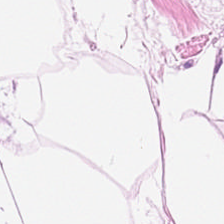H&E · 0.5 µm/px. {"tissue_type": "adipose"}
